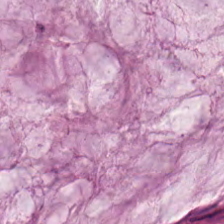H&E-stained tissue section showing mucin.
